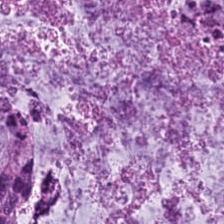H&E — The tissue here is mucus.
